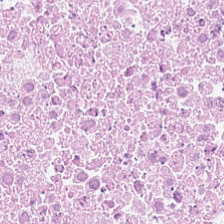H&E — Q: What is shown here?
A: Debris.
